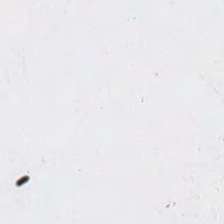Hematoxylin and eosin · brightfield. {"content": "background (no tissue)"}
